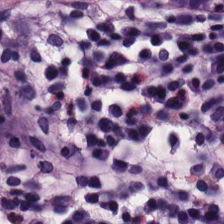Hematoxylin-and-eosin stained section.
Tissue type — non-neoplastic colon mucosa.
